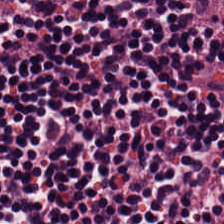Q: What type of tissue is this?
A: Lymphoid infiltrate.
